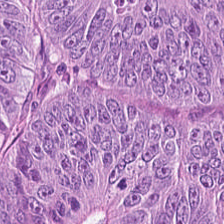Brightfield microscopy. 20× equivalent magnification. H&E-stained tissue section — Q: What type of tissue is this?
A: This is tumor epithelium.
